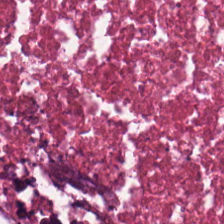Whole-slide-image patch. 0.5 microns per pixel. H&E-stained tissue section.
Classification — necrotic debris.
